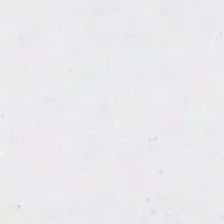Stain: H&E-stained tissue section.
Resolution: 0.5 microns per pixel.
Field content: empty background.
